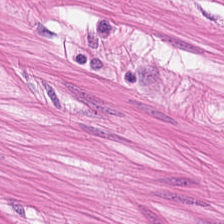Stain: H&E stain.
Classification: smooth-muscle tissue.
